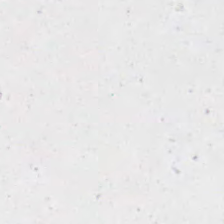0.5 microns per pixel · FFPE · hematoxylin-and-eosin stained section.
The classification is background (no tissue).
